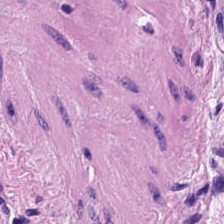Whole-slide-image patch. Hematoxylin and eosin. Q: What is shown here?
A: Smooth-muscle tissue.
